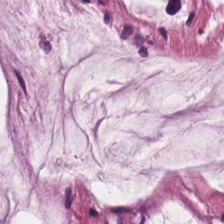WSI patch. Formalin-fixed paraffin-embedded section. Hematoxylin and eosin.
The classification is mucin.
